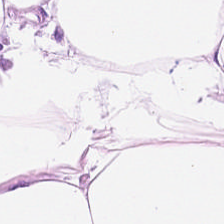Hematoxylin-and-eosin stained section.
{"tissue_type": "fat tissue"}
